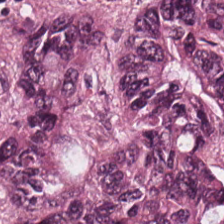Whole-slide-image patch; H&E; 0.5 µm per pixel.
The tissue type is colorectal adenocarcinoma.
